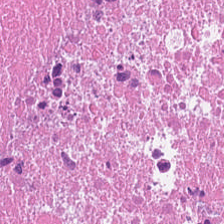H&E-stained tissue section; 224×224 px patch.
Predominant tissue = debris.
